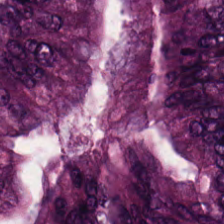Formalin-fixed paraffin-embedded section · 224×224 px tile · H&E-stained tissue section.
Q: What is shown here?
A: Colorectal adenocarcinoma epithelium.
